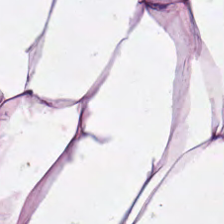224×224 px patch · hematoxylin-and-eosin stained section · whole-slide-image patch.
Tissue — adipose tissue.
